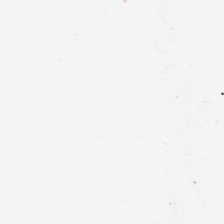H&E-stained tissue section. Field content: background (no tissue).
